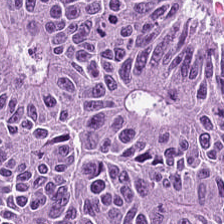224×224 px tile; hematoxylin-and-eosin stained section; whole-slide-image patch.
Tissue type = malignant epithelium.
